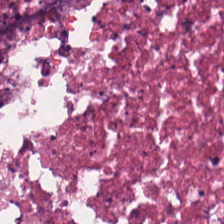224×224 px tile. 0.5 microns per pixel. H&E.
Tissue class: necrotic debris.
